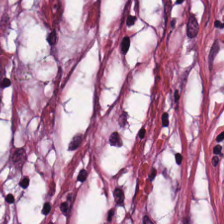H&E stain · 0.5 µm per pixel. This patch shows tumor-associated stroma.
